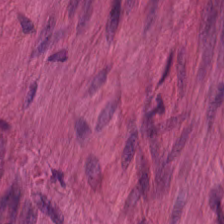0.5 µm per pixel; formalin-fixed paraffin-embedded section; H&E-stained tissue section. Predominantly muscularis.
